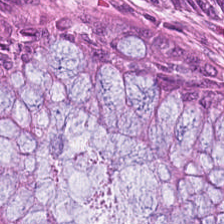224×224 pixel tile. Hematoxylin and eosin.
Predominant tissue = normal colonic mucosa.
